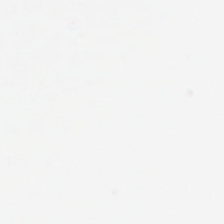Q: What is shown here?
A: It is no tissue.
